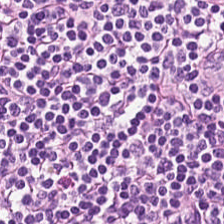Tissue type: lymphocyte aggregate.
